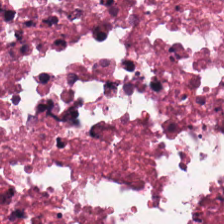Hematoxylin-and-eosin stained section; FFPE tissue section. Predominantly debris.
